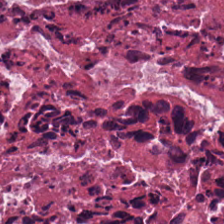The tissue is debris.
